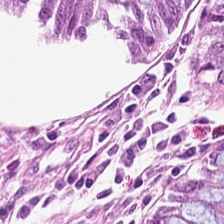H&E-stained section; the field shows non-neoplastic colon mucosa.
